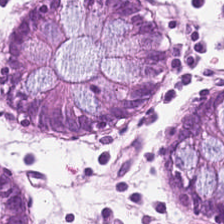Stain: H&E stain.
Tile size: 224×224 pixel tile.
Predominant tissue: normal colonic mucosa.
